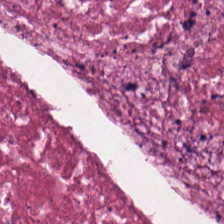Hematoxylin-and-eosin stained section. Formalin-fixed paraffin-embedded section — The predominant tissue is debris.
